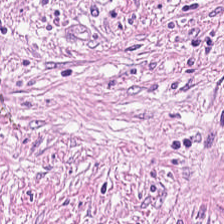Formalin-fixed paraffin-embedded section. Hematoxylin-and-eosin stained section — The predominant tissue is tumor stroma.
